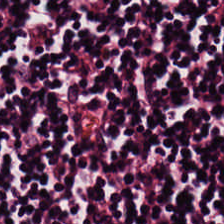H&E stain. Q: What is shown in this field?
A: This is lymphocytes.
